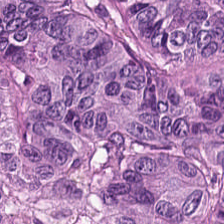Hematoxylin and eosin. Tissue — adenocarcinoma.
